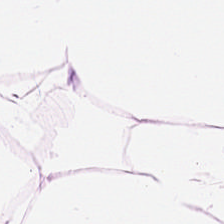Hematoxylin and eosin. Tissue — adipocytes.
